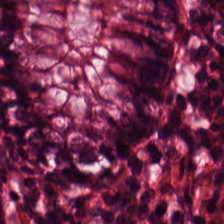224×224 px patch. H&E stain — This field is normal colon mucosa.
